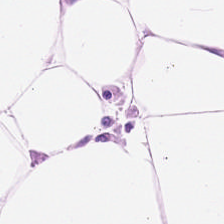Hematoxylin-and-eosin stained section — Showing fat tissue.
